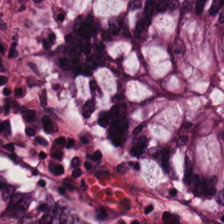The tissue here is benign colonic mucosa.
